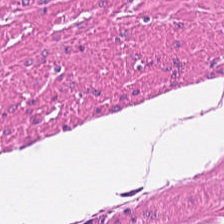Hematoxylin and eosin — The tissue class is smooth-muscle tissue.
